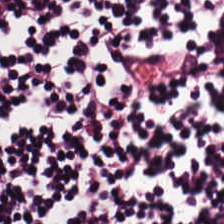H&E stain.
This patch shows lymphocytes.
